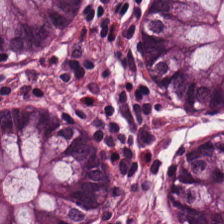Stain: H&E-stained tissue section.
Tissue: normal colonic mucosa.
